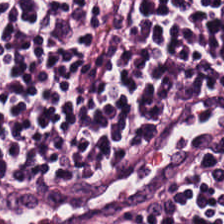WSI patch · 224×224 px tile · H&E-stained tissue section.
The tissue class is lymphocyte aggregate.
